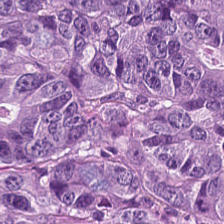20× equivalent magnification. H&E stain. FFPE.
The tissue here is colorectal adenocarcinoma epithelium.
